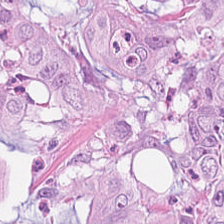0.5 microns per pixel; hematoxylin-and-eosin stained section. Showing colorectal adenocarcinoma epithelium.
